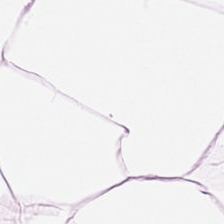224×224 pixel tile. Hematoxylin and eosin.
{"tissue_type": "adipose"}
